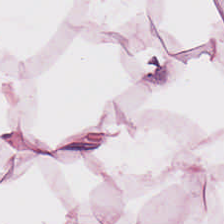224×224 px tile. FFPE tissue section. H&E stain.
This patch shows adipose tissue.
